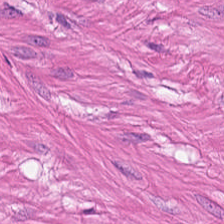Hematoxylin-and-eosin stained section; FFPE tissue section; WSI patch. Q: What tissue is shown?
A: It is muscularis.
